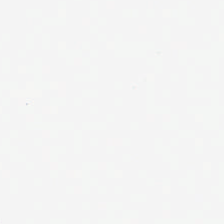Content: no tissue.
